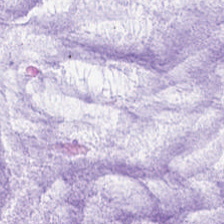Mucus.
